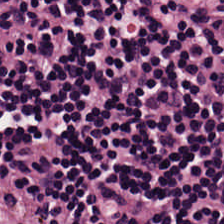Hematoxylin and eosin.
Impression → lymphocytes.
